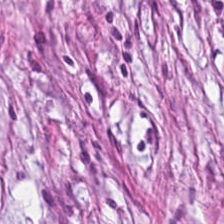H&E.
Predominantly tumor-associated stroma.
